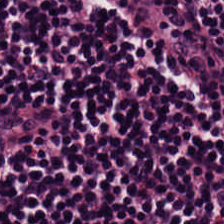H&E. Lymphocytes.
